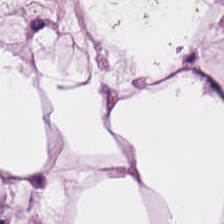H&E-stained tissue section showing adipose.
